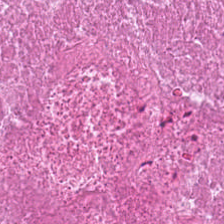0.5 µm/px. Hematoxylin-and-eosin stained section. Brightfield microscopy. Tissue type: necrotic debris.
